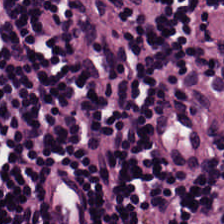Stain: H&E.
Resolution: 20× equivalent magnification.
Tissue class: lymphocyte aggregate.
